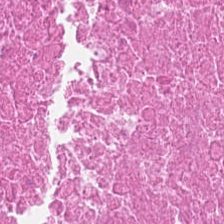Hematoxylin-and-eosin stained section.
Classification = necrotic debris.
